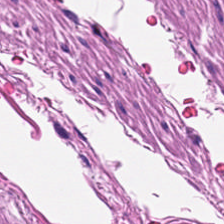FFPE · hematoxylin-and-eosin stained section. {"tissue_type": "smooth muscle"}
